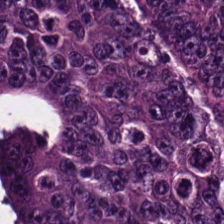WSI patch; 224×224 px tile; H&E. The tissue here is colorectal adenocarcinoma epithelium.
